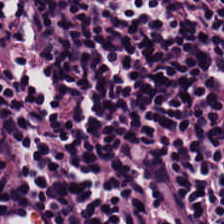Whole-slide-image patch · H&E. This field is lymphocytic infiltrate.
